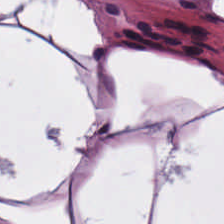H&E stain.
This field is fat tissue.
